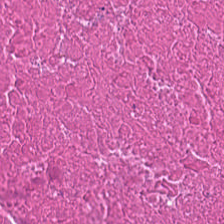Predominant tissue — cellular debris.
